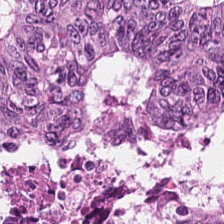Brightfield · H&E-stained tissue section.
{"tissue_type": "tumor epithelium"}
